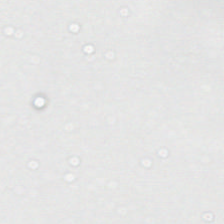Brightfield. H&E stain.
{"content": "background (no tissue)"}
